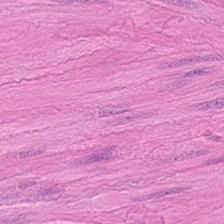Hematoxylin-and-eosin stained section. Smooth-muscle tissue.
